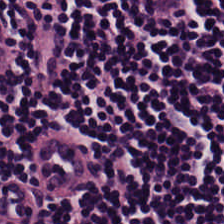Hematoxylin and eosin.
The tissue type is lymphocyte aggregate.
